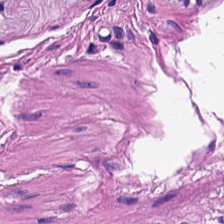H&E-stained tissue section.
Q: What tissue is shown?
A: The field shows muscularis.
